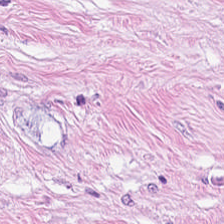H&E stain.
Histology → tumor-associated stroma.
